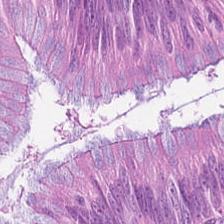Hematoxylin-and-eosin stained section — Predominantly tumor epithelium.
